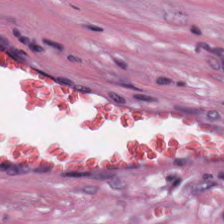Tumor-associated stroma.
